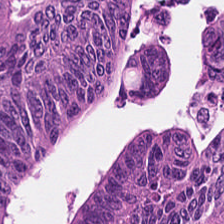H&E-stained tissue section · WSI patch — This patch shows colorectal adenocarcinoma.
